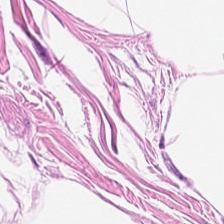Predominant tissue: adipose tissue.
